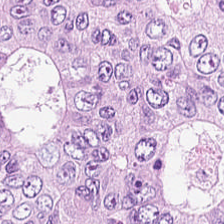H&E-stained tissue section — The predominant tissue is malignant epithelium.
